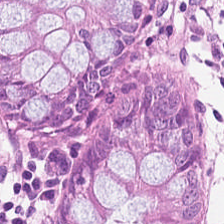Hematoxylin-and-eosin stained section. The tissue here is normal colonic mucosa.
